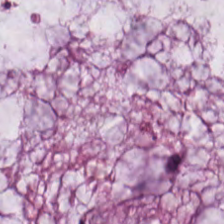H&E stain · WSI patch. Impression — mucin.
